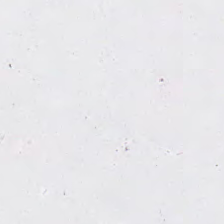Hematoxylin-and-eosin stained section. This field is background (no tissue).
